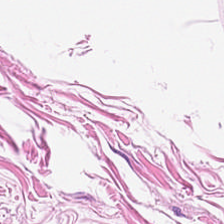This patch shows fat tissue.
